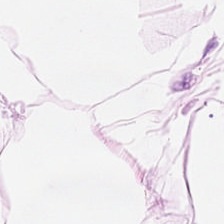Hematoxylin-and-eosin stained section.
Histology — adipocytes.
